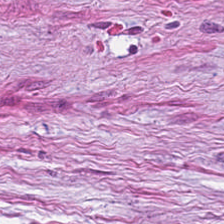WSI patch · H&E — Cancer-associated stroma.
